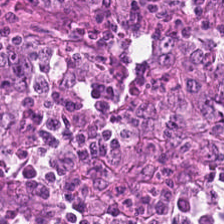H&E — tumor epithelium.
